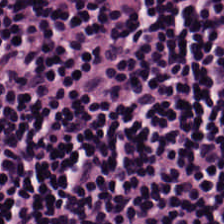Stain: hematoxylin-and-eosin stained section.
Classification: lymphoid infiltrate.
